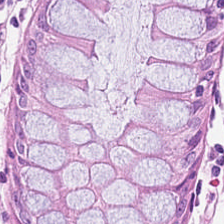Predominantly benign colonic mucosa.
